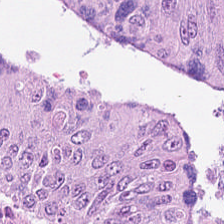Brightfield microscopy · hematoxylin and eosin.
Impression → malignant epithelium.
